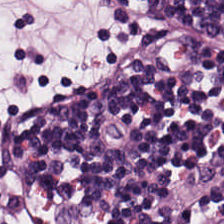Hematoxylin-and-eosin section: lymphocytic infiltrate.
